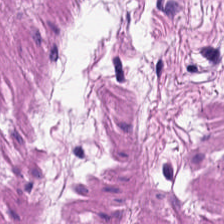FFPE tissue section. H&E stain. Whole-slide-image patch.
This field is smooth muscle.
